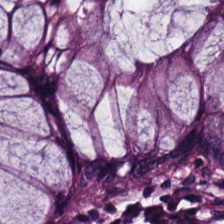Predominant tissue: non-neoplastic colon mucosa.
